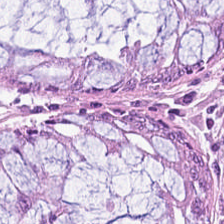Hematoxylin-and-eosin stained section. Tissue: benign colonic mucosa.
